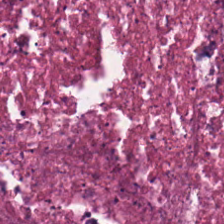Hematoxylin-and-eosin stained section — Q: Classify this patch.
A: It is debris.
